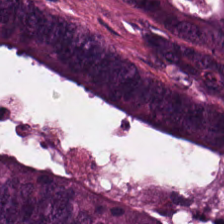H&E-stained tissue section. Formalin-fixed paraffin-embedded section.
Impression — malignant epithelium.
